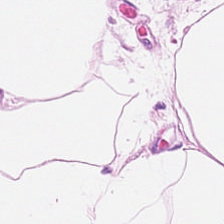Hematoxylin and eosin — Q: What is shown in this field?
A: Adipocytes.
